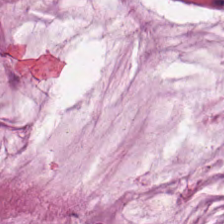{"tissue_type": "mucus"}
